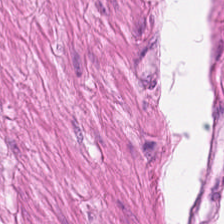Hematoxylin-and-eosin stained section.
Tissue: smooth muscle.
